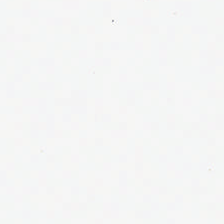Q: What is shown in this field?
A: This is background (no tissue).
